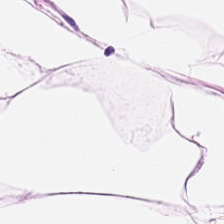H&E stain — Tissue — fat tissue.
